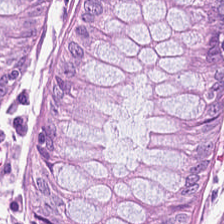224×224 px tile. H&E. WSI patch. The tissue here is non-neoplastic colon mucosa.
